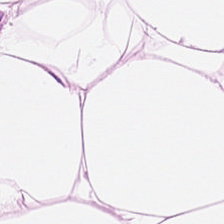20× equivalent magnification · 224×224 px patch · hematoxylin and eosin.
The tissue type is adipocytes.
